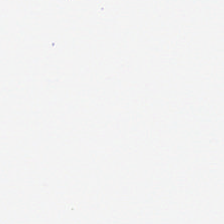H&E stain.
Q: What is shown here?
A: The field shows background.
